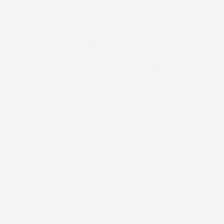Content = no tissue.
